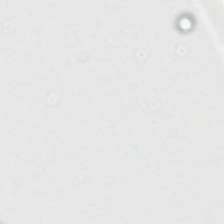H&E stain; 0.5 µm/px — This patch shows background.
